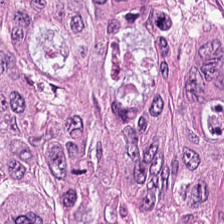H&E — Showing malignant epithelium.
